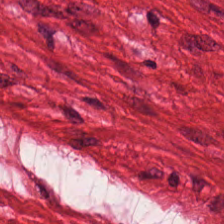H&E-stained tissue section.
The tissue here is muscularis.
